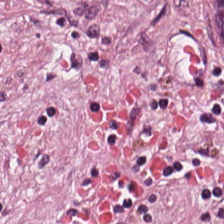Hematoxylin and eosin · FFPE tissue section · whole-slide-image patch.
Showing desmoplastic stroma.
